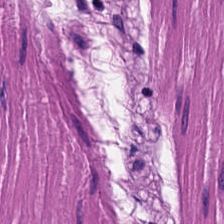Hematoxylin-and-eosin stained section.
{"tissue_type": "smooth-muscle tissue"}
